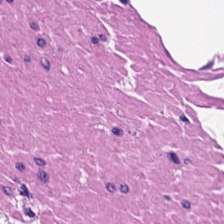H&E-stained tissue section. {"tissue_type": "muscularis"}
